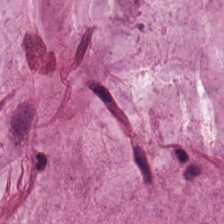Q: What tissue is shown?
A: This is mucus.
